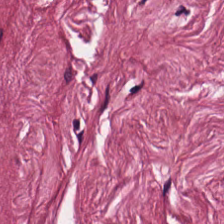H&E — tumor-associated stroma.
